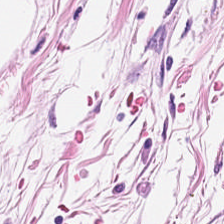Finding — adipocytes.
